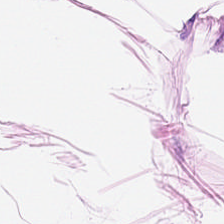Tissue — adipose.
